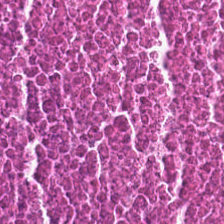H&E stain · 224×224 pixel tile.
This patch shows debris.
